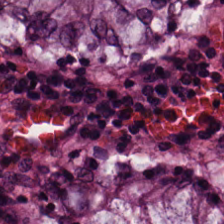H&E-stained tissue section · 224×224 px tile. Showing benign colonic mucosa.
